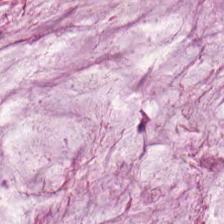Q: Classify this patch.
A: The field shows extracellular mucin.
